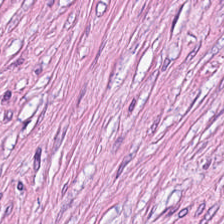Classification — cancer-associated stroma.
